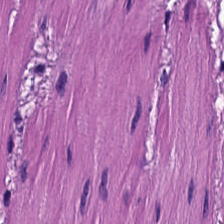The tissue class is smooth-muscle tissue.
